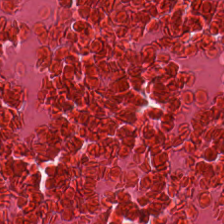224×224 px tile · formalin-fixed paraffin-embedded section · hematoxylin-and-eosin stained section.
Q: What type of tissue is this?
A: The field shows cellular debris.
